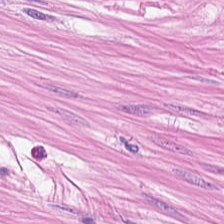Stain: hematoxylin and eosin.
Resolution: 0.5 microns per pixel.
Tissue type: smooth-muscle tissue.
